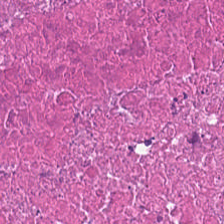Q: What is the predominant tissue type?
A: Cellular debris.
